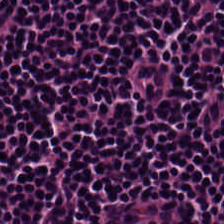Q: What does this patch show?
A: Lymphoid infiltrate.
